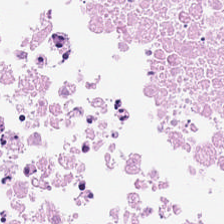H&E-stained tissue section — Tissue — necrotic debris.
